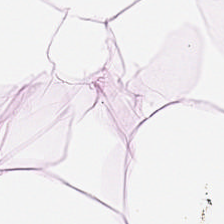H&E patch showing adipose tissue.
